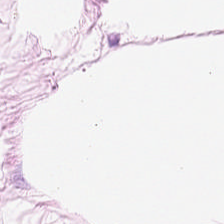Tissue type: adipose.
